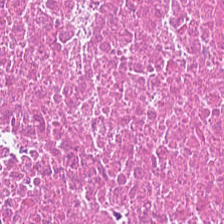H&E-stained tissue section. Q: What tissue type is shown here?
A: This is debris.
